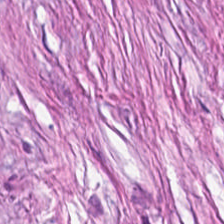Histology → tumor-associated stroma.
